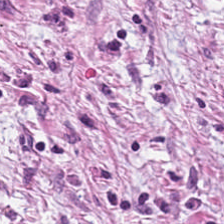Stain: hematoxylin and eosin.
Preparation: formalin-fixed paraffin-embedded section.
Classification: tumor stroma.
